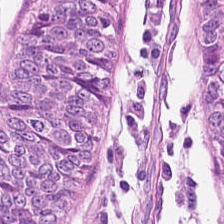The predominant tissue is normal colon mucosa.
